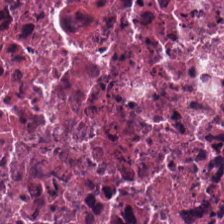H&E. FFPE — This patch shows cellular debris.
